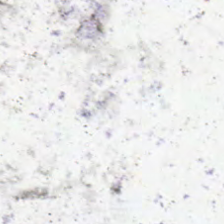Hematoxylin and eosin.
No tissue present; background only.
